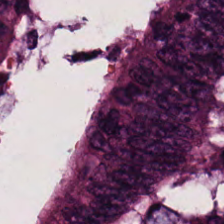Hematoxylin and eosin. The predominant tissue is colorectal adenocarcinoma.
